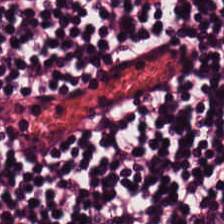H&E stain; FFPE tissue section; 224×224 px patch — Q: Identify the tissue.
A: The field shows lymphoid infiltrate.
